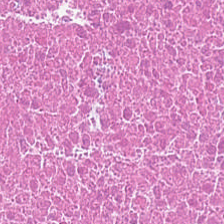Tissue — necrotic debris.
